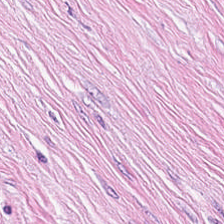Q: What is shown in this field?
A: This is tumor stroma.
